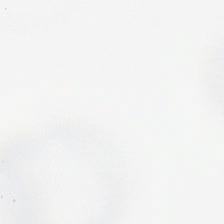H&E.
Histology → no tissue.
